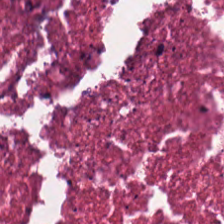Impression → necrotic debris.
